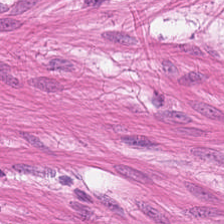224×224 px patch; H&E stain — The tissue type is smooth-muscle tissue.
